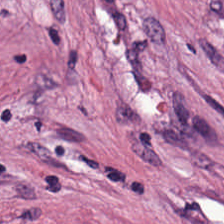H&E-stained section; the field shows tumor-associated stroma.
